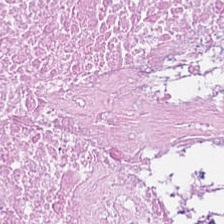Stain: H&E.
Classification: cellular debris.
